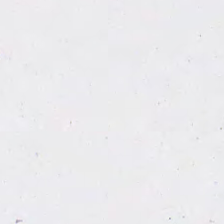H&E-stained tissue section — Impression — background (no tissue).
